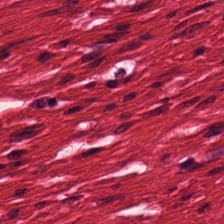H&E-stained tissue section. The tissue here is muscularis.
